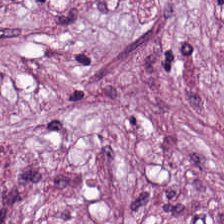H&E-stained tissue section. Tissue type: tumor stroma.
